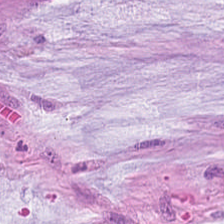H&E — Predominant tissue — mucus.
